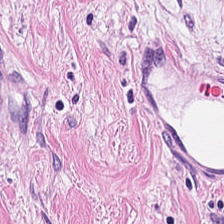H&E-stained tissue section · FFPE tissue section · WSI patch.
Q: Identify the tissue.
A: The field shows tumor-associated stroma.
